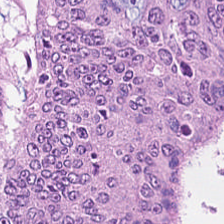224×224 px patch; H&E stain; whole-slide-image patch — Q: Identify the tissue.
A: The field shows malignant epithelium.
